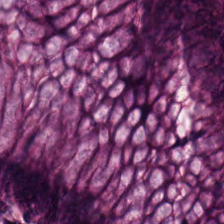Tissue type — benign colonic mucosa.
